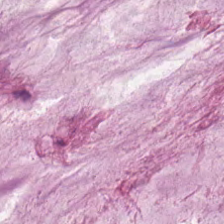Stain: hematoxylin and eosin.
Acquisition: brightfield microscopy.
Resolution: 20× equivalent magnification.
Tissue class: extracellular mucin.
